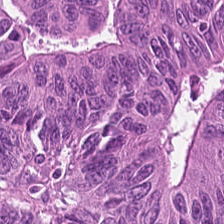H&E.
Predominantly colorectal adenocarcinoma.
